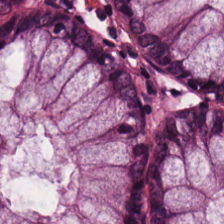Classification: benign colonic mucosa.
